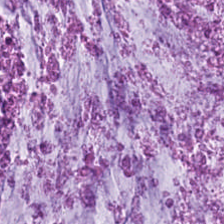H&E-stained tissue section. The predominant tissue is mucin.
